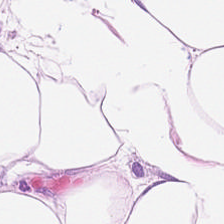Classification — adipocytes.
